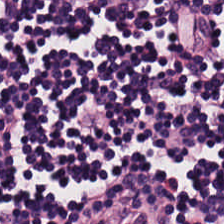0.5 µm/px · H&E stain. Showing lymphoid infiltrate.
